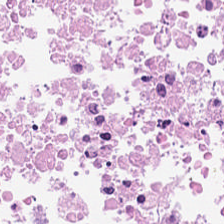0.5 µm per pixel · hematoxylin and eosin.
Q: What is shown in this field?
A: It is debris.
